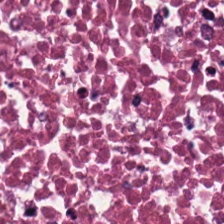H&E stain — Impression → cellular debris.
